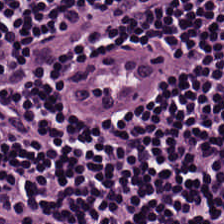224×224 px patch; hematoxylin-and-eosin stained section — Finding — lymphocyte aggregate.
